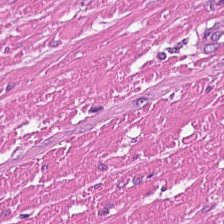H&E stain.
Smooth muscle.
